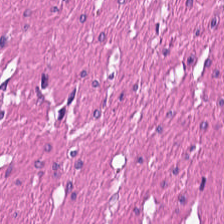H&E-stained tissue section; formalin-fixed paraffin-embedded section — The tissue class is smooth-muscle tissue.
